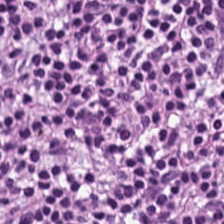Tissue class: lymphocytic infiltrate.
